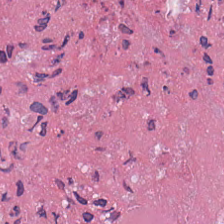Predominantly debris.
